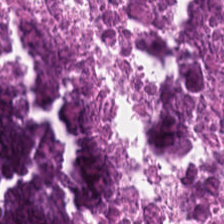224×224 px patch; H&E stain. Q: What is shown here?
A: Debris.
